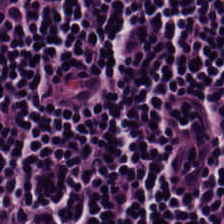Hematoxylin-and-eosin stained section; brightfield. {"tissue_type": "lymphocyte aggregate"}
